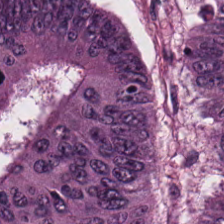Stain: H&E stain.
Tissue: colorectal adenocarcinoma epithelium.
